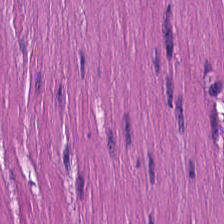Finding — smooth muscle.
